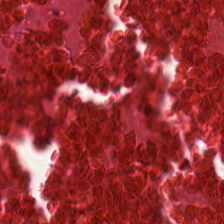H&E-stained tissue section.
Showing debris.
